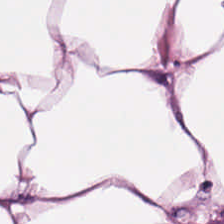Formalin-fixed paraffin-embedded section; H&E-stained tissue section — Q: What tissue is shown?
A: This is adipocytes.
